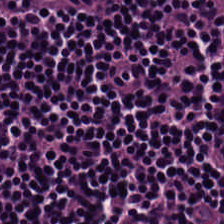H&E-stained tissue section. Predominant tissue: lymphocyte aggregate.
